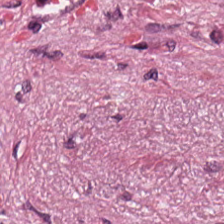H&E stain. This field is tumor stroma.
